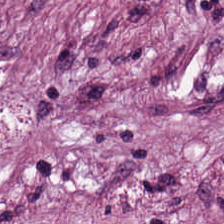Stain: H&E.
Acquisition: brightfield microscopy.
Predominant tissue: tumor stroma.
